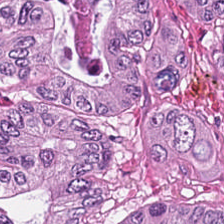Stain: H&E.
Resolution: 20× equivalent magnification.
Acquisition: whole-slide-image patch.
Tissue type: tumor epithelium.
